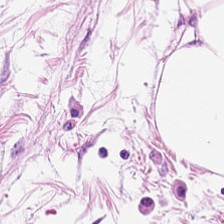Stain: hematoxylin and eosin.
Tissue type: adipose.
